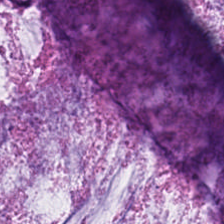Whole-slide-image patch; hematoxylin and eosin — The predominant tissue is mucus.
